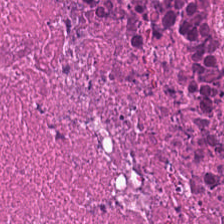H&E-stained tissue section showing debris.
